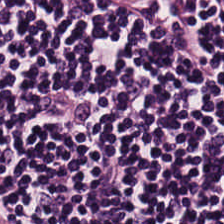H&E stain — Tissue type — lymphocytes.
